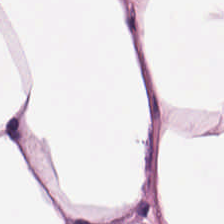Hematoxylin and eosin. 224×224 px patch. 0.5 microns per pixel. The tissue is fat tissue.
